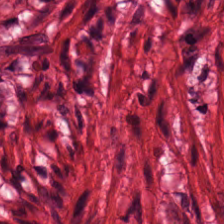Stain: H&E.
Classification: smooth-muscle tissue.
